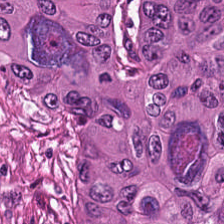Stain: H&E-stained tissue section.
Tissue type: tumor epithelium.
